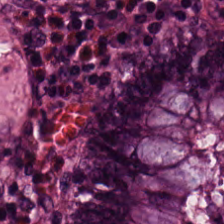Stain: H&E-stained tissue section.
Predominant tissue: non-neoplastic colon mucosa.
